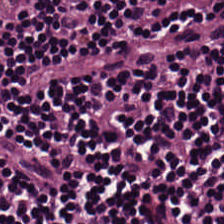WSI patch · H&E stain · 224×224 px tile. Finding — lymphocytic infiltrate.
